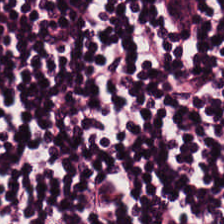Hematoxylin-and-eosin stained section — Lymphoid infiltrate.
